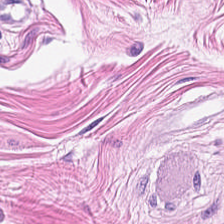H&E stain.
Tissue — muscularis.
